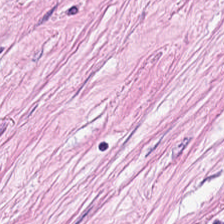H&E. 0.5 µm/px. WSI patch. Showing cancer-associated stroma.
